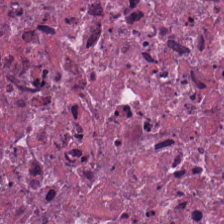Hematoxylin and eosin; 0.5 µm per pixel. Q: What type of tissue is this?
A: Cellular debris.
